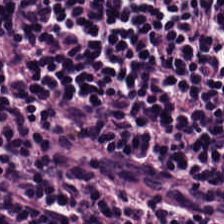Classification = lymphocyte aggregate.
